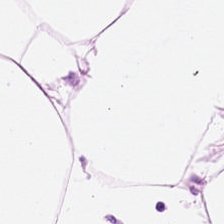224×224 pixel tile · H&E · brightfield microscopy.
Q: Identify the tissue.
A: It is adipocytes.
